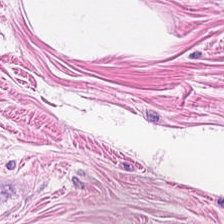H&E · 0.5 µm per pixel · formalin-fixed paraffin-embedded section.
Q: What is shown here?
A: It is smooth-muscle tissue.
